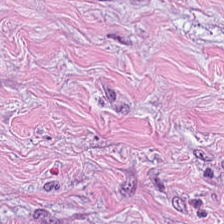0.5 µm per pixel; H&E-stained tissue section — The predominant tissue is tumor-associated stroma.
